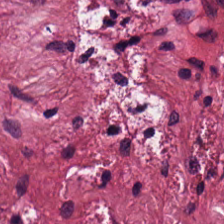Hematoxylin and eosin. Brightfield microscopy — This field is desmoplastic stroma.
